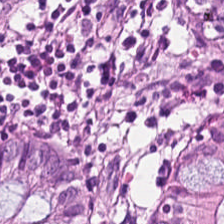H&E-stained tissue section.
Tissue type: normal colonic mucosa.
